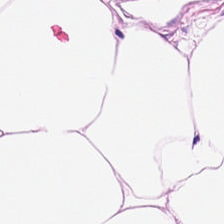This patch shows fat tissue.
